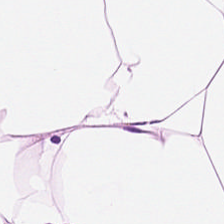Hematoxylin and eosin — {"tissue_type": "adipocytes"}
